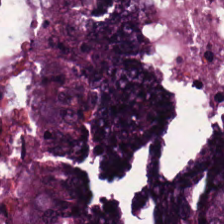H&E-stained tissue section; whole-slide-image patch.
Classification — adenocarcinoma.
